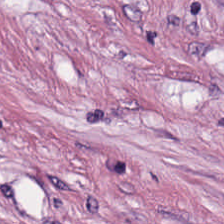H&E stain — Q: What is shown here?
A: Tumor stroma.
